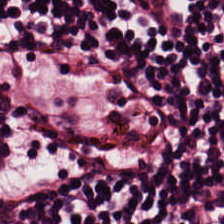Hematoxylin and eosin — This field is lymphocyte aggregate.
